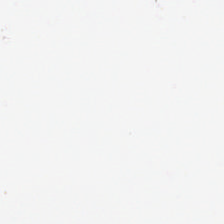0.5 µm per pixel · H&E stain · FFPE.
{"content": "empty background"}
